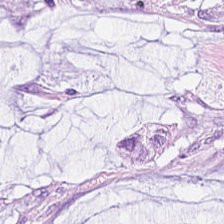H&E-stained tissue section — Mucin.
